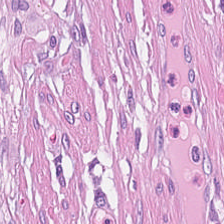Finding → tumor-associated stroma.
